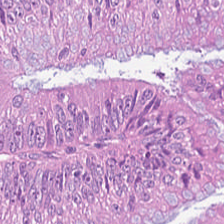Stain: H&E.
Tissue type: adenocarcinoma.
